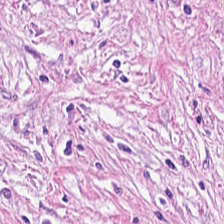WSI patch · H&E stain.
Q: What is the predominant tissue type?
A: This is cancer-associated stroma.
